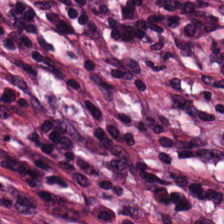H&E.
Tissue class = tumor-associated stroma.
